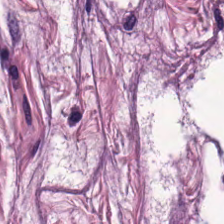H&E-stained tissue section; 0.5 microns per pixel. The tissue here is smooth muscle.
